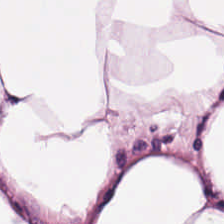WSI patch · hematoxylin-and-eosin stained section — Impression — adipose tissue.
